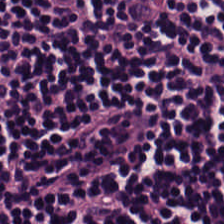Histology — lymphoid infiltrate.
